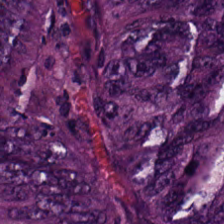Stain: H&E.
Tissue type: colorectal adenocarcinoma epithelium.
